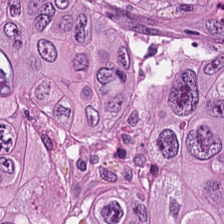224×224 pixel tile · H&E-stained tissue section — Classification = malignant epithelium.
